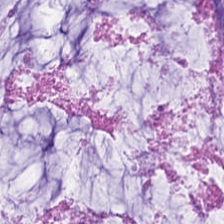H&E stain. The tissue here is mucin.
